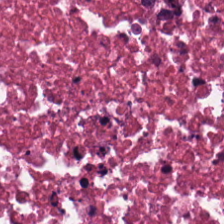H&E-stained tissue section — Showing cellular debris.
